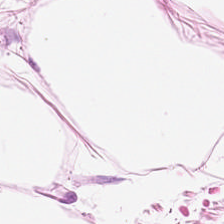Stain: hematoxylin and eosin.
Tissue class: adipose.
